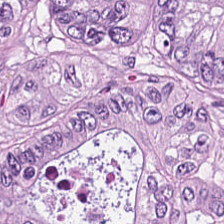Hematoxylin-and-eosin stained section — Colorectal adenocarcinoma epithelium.
